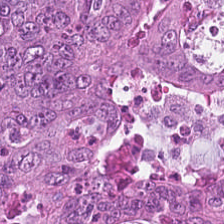H&E; FFPE; brightfield microscopy — {"tissue_type": "tumor epithelium"}
